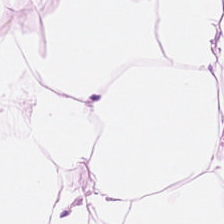H&E; 224×224 px tile.
Tissue: adipose tissue.
